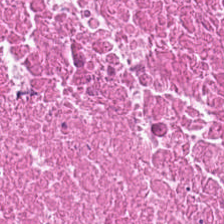Stain: H&E-stained tissue section.
Tissue: cellular debris.
